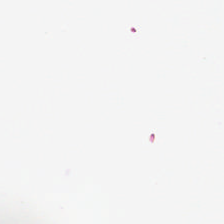20× equivalent magnification. H&E stain. Histology — empty background.
